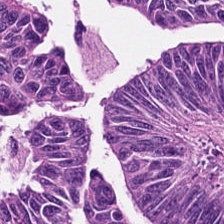H&E. FFPE. Showing tumor epithelium.
